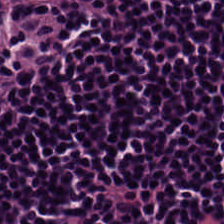H&E. {"tissue_type": "lymphocytes"}
